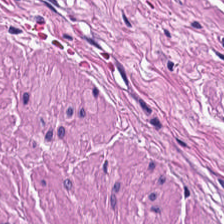The classification is muscularis.
